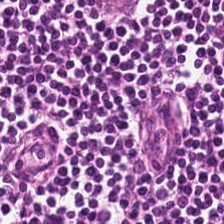Hematoxylin-and-eosin stained section.
The tissue is lymphocytes.
